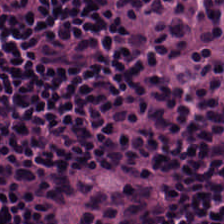H&E — Q: What type of tissue is this?
A: This is lymphocyte aggregate.
